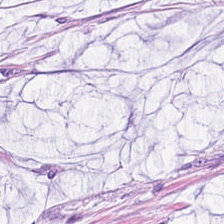224×224 px tile · hematoxylin-and-eosin stained section · WSI patch. Q: Identify the tissue.
A: Mucin.
